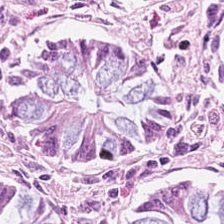Hematoxylin and eosin.
Tissue: benign colonic mucosa.
